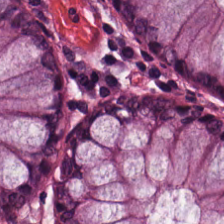Showing normal colon mucosa.
